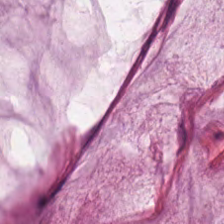Formalin-fixed paraffin-embedded section · H&E stain · 224×224 px tile. Finding — mucin.
